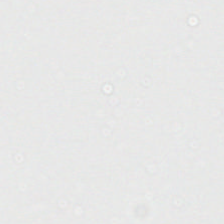This field is background (no tissue).
